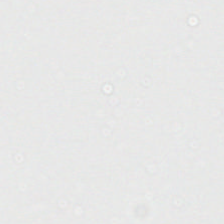This field is background (no tissue).
